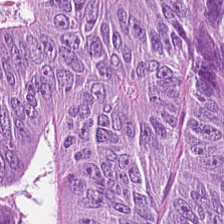Hematoxylin and eosin.
The predominant tissue is malignant epithelium.
